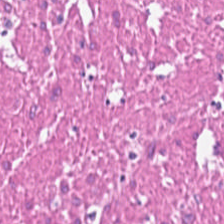H&E patch showing smooth muscle.
